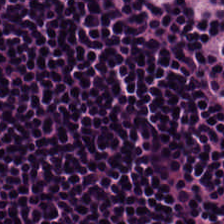H&E — lymphoid infiltrate.
